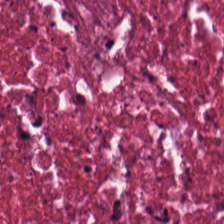H&E.
Finding — necrotic debris.
